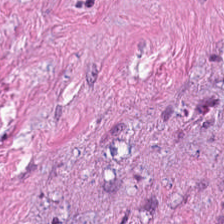224×224 pixel tile; H&E stain. Predominant tissue — desmoplastic stroma.
